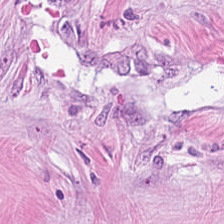H&E stain — Tissue class = tumor-associated stroma.
